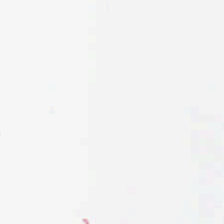Background — no tissue in this field.
